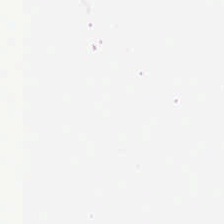H&E-stained tissue section — Background — no tissue in this field.
